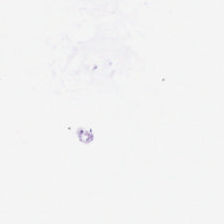H&E stain; brightfield — Empty field — background.
